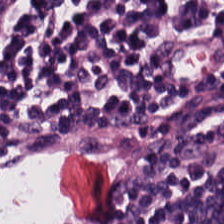224×224 px patch · H&E stain · WSI patch. Finding → lymphoid infiltrate.
